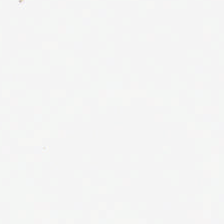Brightfield; hematoxylin and eosin.
Empty field — background (no tissue).
